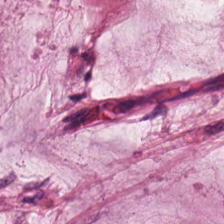H&E stain. Predominantly mucin.
